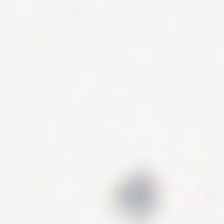Finding → empty background.
